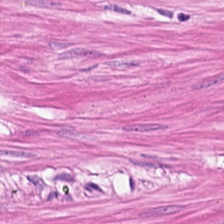Impression — smooth-muscle tissue.
